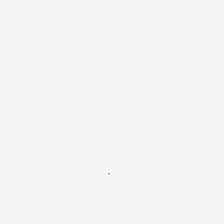H&E stain.
Background — no tissue in this field.
